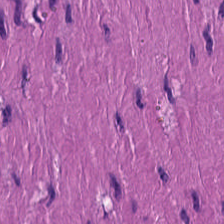H&E patch showing smooth muscle.
